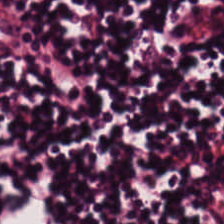H&E stain · whole-slide-image patch — Classification — lymphocytic infiltrate.
